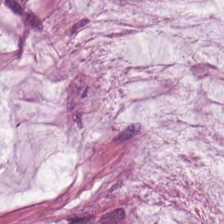Hematoxylin-and-eosin stained section.
Impression — extracellular mucin.
